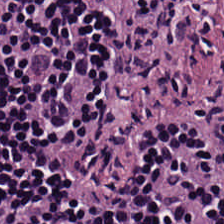Q: What type of tissue is this?
A: Lymphocytic infiltrate.
